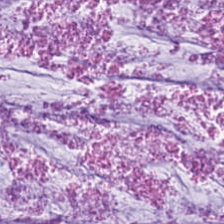H&E; 0.5 microns per pixel; whole-slide-image patch. Finding → mucus.
